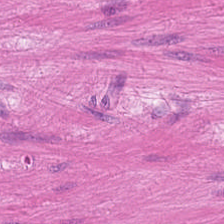H&E.
Tissue class = muscularis.
